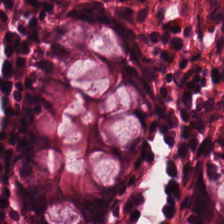0.5 microns per pixel; hematoxylin-and-eosin stained section. Q: What is shown here?
A: Normal colon mucosa.
